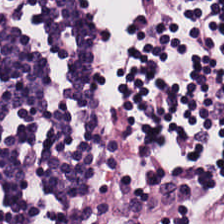H&E-stained tissue section. Q: What tissue type is shown here?
A: It is lymphocytic infiltrate.
